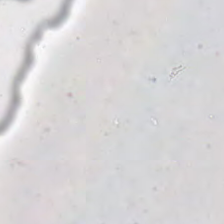224×224 px tile. H&E-stained tissue section — Background — no tissue in this field.
